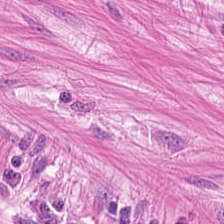Hematoxylin and eosin. Muscularis.
